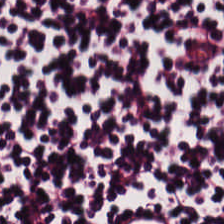Hematoxylin-and-eosin stained section. Brightfield. This patch shows lymphocytes.
